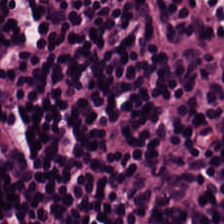0.5 microns per pixel; H&E stain — Lymphocyte aggregate.
